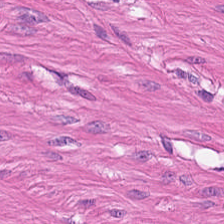H&E — The tissue is muscularis.
